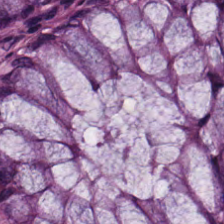Finding — normal colon mucosa.
